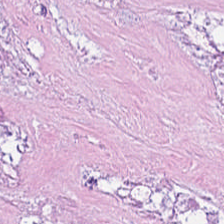H&E.
The classification is debris.
